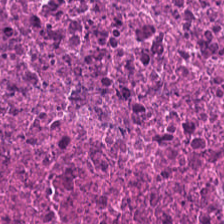Whole-slide-image patch. H&E. 224×224 px tile. Finding → cellular debris.
